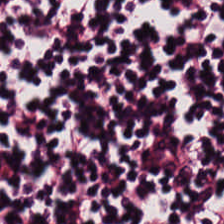H&E-stained tissue section. Formalin-fixed paraffin-embedded section. This patch shows lymphocytes.
